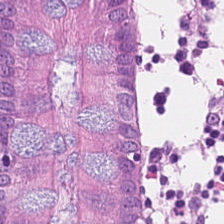H&E; 224×224 px patch. Predominant tissue = normal colonic mucosa.
